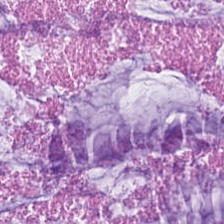Q: What tissue type is shown here?
A: This is mucin.
